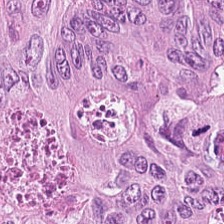Hematoxylin-and-eosin stained section.
Showing tumor epithelium.
